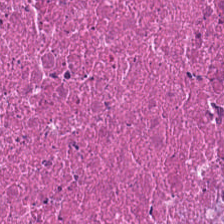FFPE. H&E — Q: What tissue is shown?
A: The field shows necrotic debris.
